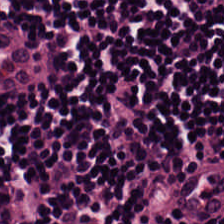Hematoxylin-and-eosin stained section.
Classification — lymphoid infiltrate.
